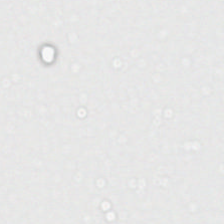Hematoxylin-and-eosin stained section — Background — no tissue in this field.
